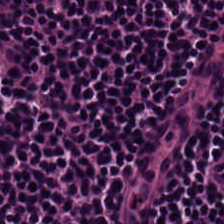Histology — lymphocytic infiltrate.
